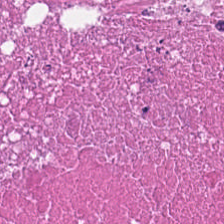Histology — cellular debris.
